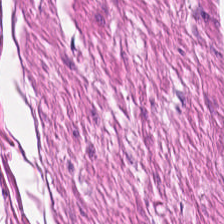Hematoxylin and eosin · brightfield microscopy. This patch shows smooth-muscle tissue.
